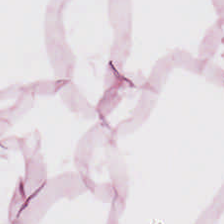H&E. Predominantly adipose.
